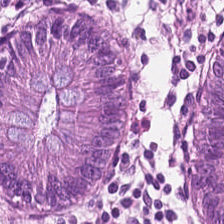FFPE; 224×224 px tile; hematoxylin-and-eosin stained section. Predominantly non-neoplastic colon mucosa.
